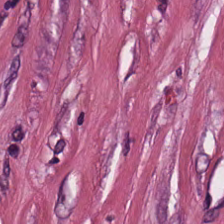20× equivalent magnification · hematoxylin and eosin — Histology → tumor-associated stroma.
